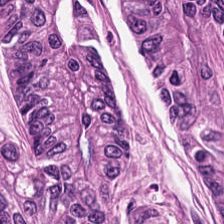Hematoxylin-and-eosin stained section. Predominantly colorectal adenocarcinoma epithelium.
